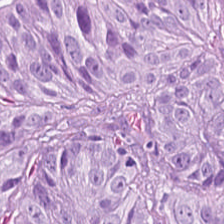H&E; formalin-fixed paraffin-embedded section — Tissue type: tumor epithelium.
